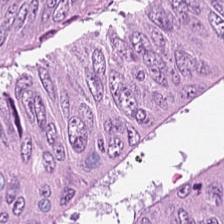H&E.
The predominant tissue is adenocarcinoma.
